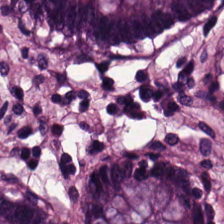H&E stain — Normal colon mucosa.
